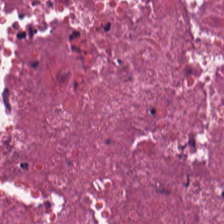Classification: necrotic debris.
